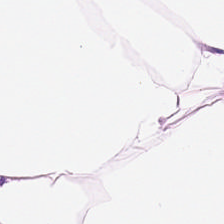Showing adipose.
